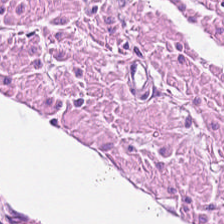Hematoxylin-and-eosin stained section — Tissue type — smooth-muscle tissue.
